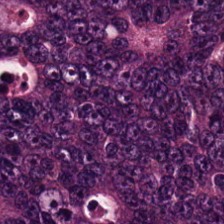Tissue type = malignant epithelium.
